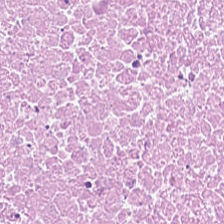Brightfield microscopy · H&E stain — Finding → debris.
